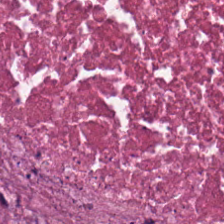H&E-stained tissue section; FFPE — Q: What is the predominant tissue type?
A: It is necrotic debris.
